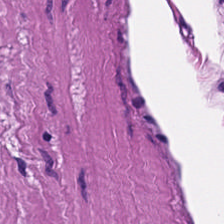The tissue here is muscularis.
